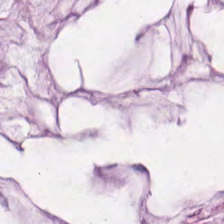0.5 µm/px. Hematoxylin-and-eosin stained section. Finding → mucus.
